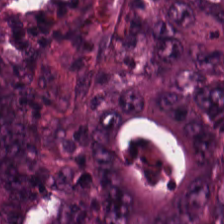Hematoxylin and eosin — This field is adenocarcinoma.
